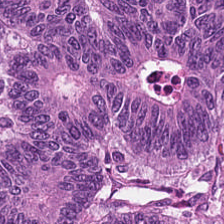Whole-slide-image patch · 0.5 microns per pixel · hematoxylin and eosin.
Showing colorectal adenocarcinoma.
